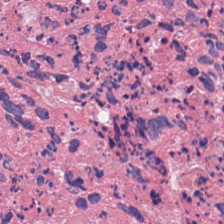H&E-stained tissue section.
Tissue class = debris.
